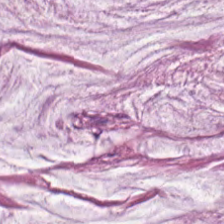Whole-slide-image patch; 20× equivalent magnification; hematoxylin-and-eosin stained section — This patch shows extracellular mucin.
